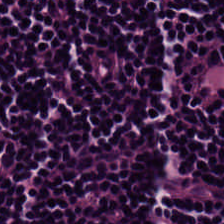H&E. Finding — lymphocytic infiltrate.
